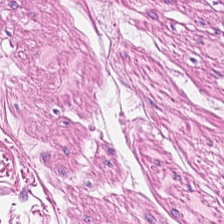H&E · 0.5 microns per pixel.
The tissue here is muscularis.
